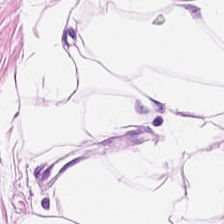Hematoxylin-and-eosin stained section.
Q: What does this patch show?
A: It is adipocytes.
